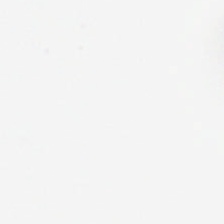Background — no tissue in this field.
